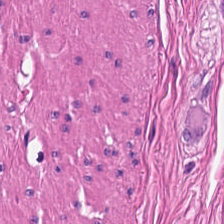H&E.
Q: What tissue type is shown here?
A: The field shows smooth-muscle tissue.
